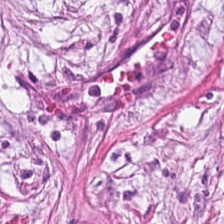Impression → cancer-associated stroma.
